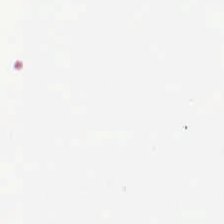H&E-stained tissue section · formalin-fixed paraffin-embedded section. Empty field — empty background.
